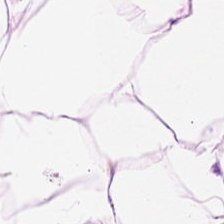0.5 microns per pixel · H&E-stained tissue section · 224×224 pixel tile. Finding — fat tissue.
